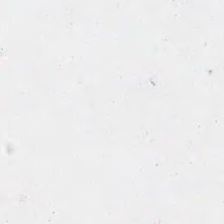Hematoxylin and eosin — This field is background (no tissue).
